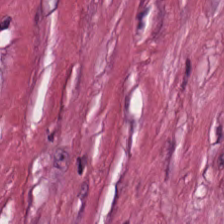Hematoxylin and eosin. 224×224 px patch.
This field is tumor stroma.
